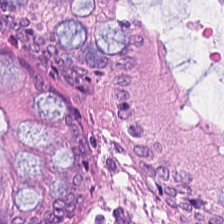H&E patch showing benign colonic mucosa.
